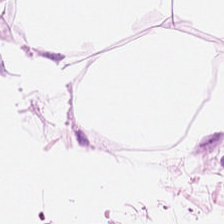This field is adipose tissue.
